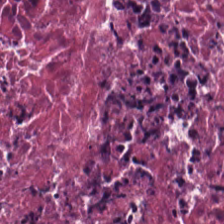H&E — debris.
